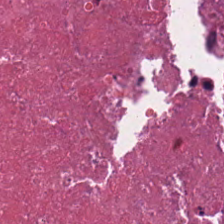FFPE. Hematoxylin-and-eosin stained section. Whole-slide-image patch — Showing cellular debris.
